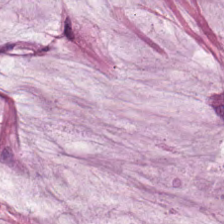H&E.
The tissue here is mucin.
